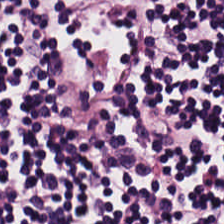Hematoxylin and eosin.
Tissue type — lymphocytes.
